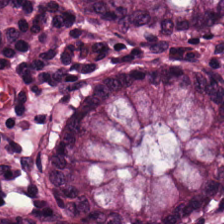Hematoxylin and eosin — Tissue type: normal colonic mucosa.
